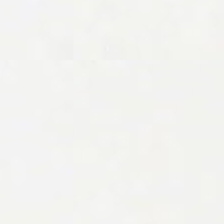Q: What is shown here?
A: It is no tissue.
